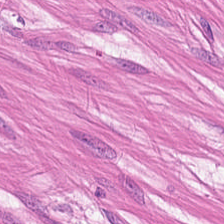Hematoxylin and eosin.
Predominantly smooth-muscle tissue.
